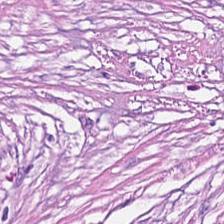0.5 µm/px; WSI patch; H&E stain. This patch shows tumor-associated stroma.
